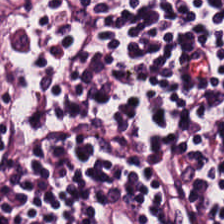H&E — lymphocytic infiltrate.
